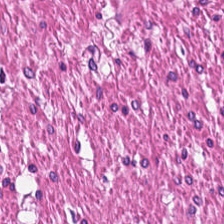H&E stain · 0.5 microns per pixel · 224×224 pixel tile — Classification: muscularis.
